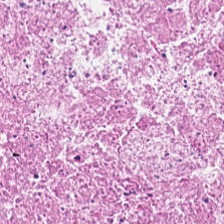Stain: hematoxylin and eosin.
Acquisition: brightfield.
Tissue type: cellular debris.
